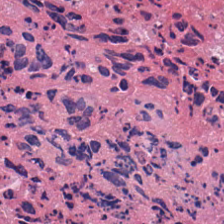H&E — cellular debris.
